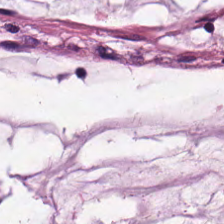Q: What is shown here?
A: It is mucin.
